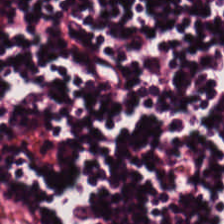H&E — Tissue type = lymphocytic infiltrate.
